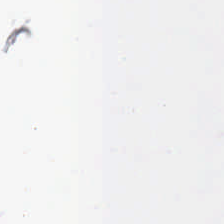H&E-stained tissue section — Content: background (no tissue).
